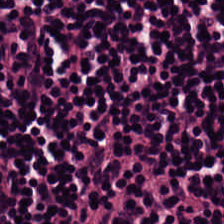0.5 microns per pixel; whole-slide-image patch; hematoxylin and eosin.
The classification is lymphocytes.
